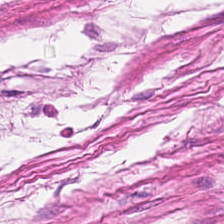H&E-stained tissue section. {"tissue_type": "smooth-muscle tissue"}
